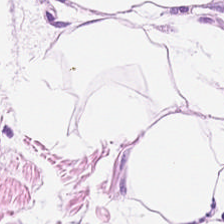The classification is adipose tissue.
